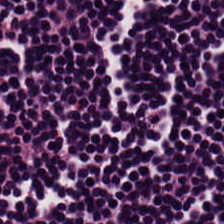0.5 microns per pixel. Hematoxylin and eosin — Impression → lymphocytic infiltrate.
